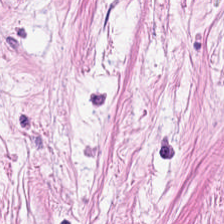Predominantly tumor-associated stroma.
